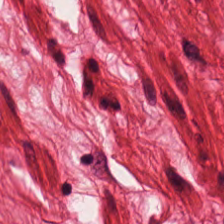20× equivalent magnification; hematoxylin and eosin — Classification: muscularis.
